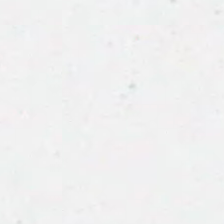The field content is no tissue.
